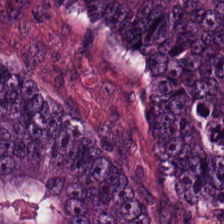Stain: H&E stain.
Predominant tissue: tumor epithelium.
